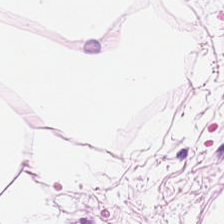H&E-stained tissue section — Predominantly adipose tissue.
